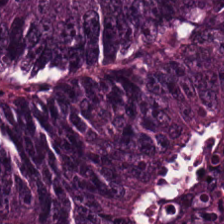Hematoxylin-and-eosin section: colorectal adenocarcinoma epithelium.
